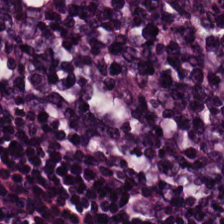H&E — Finding → lymphocytes.
